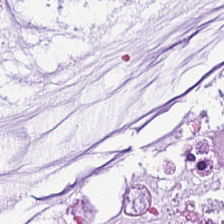H&E-stained tissue section. Q: Classify this patch.
A: It is extracellular mucin.
